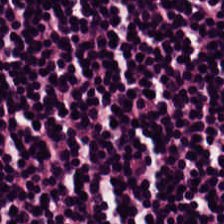This patch shows lymphocytic infiltrate.
